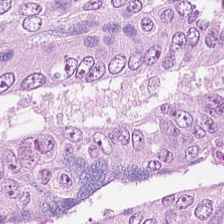Hematoxylin-and-eosin stained section — This patch shows malignant epithelium.
